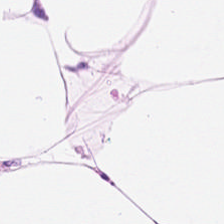H&E — This field is fat tissue.
